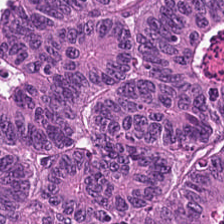Formalin-fixed paraffin-embedded section · H&E stain.
Finding → colorectal adenocarcinoma epithelium.
